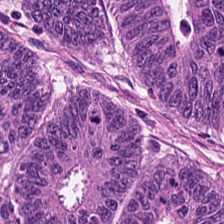FFPE tissue section. Hematoxylin and eosin — Q: What type of tissue is this?
A: It is colorectal adenocarcinoma.
